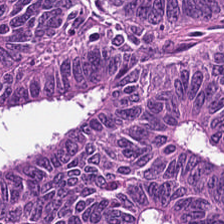H&E.
The tissue here is malignant epithelium.
